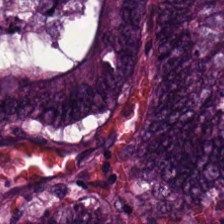H&E stain; whole-slide-image patch. Tissue type = tumor epithelium.
